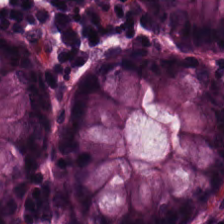The tissue here is benign colonic mucosa.
